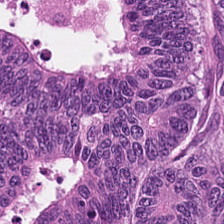Tissue type — colorectal adenocarcinoma epithelium.
